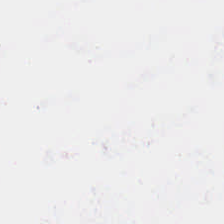H&E; 20× equivalent magnification — Q: What is shown here?
A: It is background.
